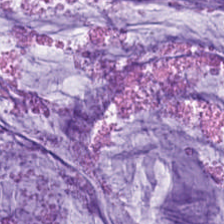H&E-stained tissue section. Brightfield — Finding → mucin.
